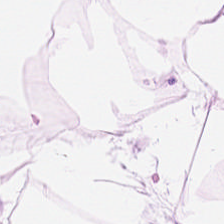Hematoxylin and eosin.
Showing fat tissue.
